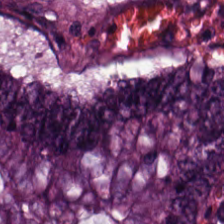Stain: H&E stain.
Tissue type: adenocarcinoma.
